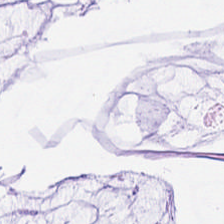Brightfield; H&E stain; 0.5 µm per pixel.
The tissue here is mucin.
